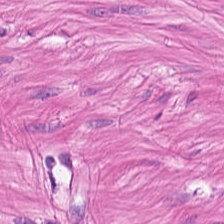0.5 µm/px; H&E. Predominant tissue: smooth muscle.
